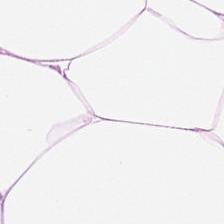Q: What tissue is shown?
A: Adipose.
